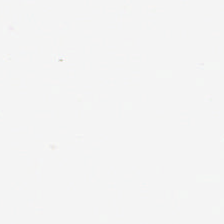Stain: H&E.
Resolution: 20× equivalent magnification.
Preparation: FFPE tissue section.
Classification: no tissue.
